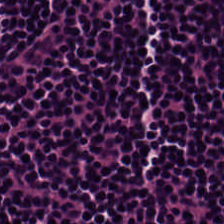Hematoxylin-and-eosin stained section; 0.5 microns per pixel; brightfield microscopy. This field is lymphocytes.
